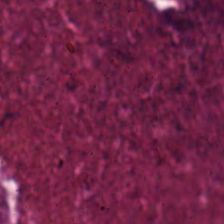H&E stain — Q: Classify this patch.
A: Debris.
